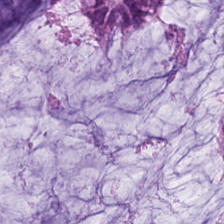The predominant tissue is extracellular mucin.
